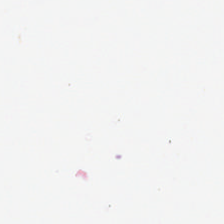Formalin-fixed paraffin-embedded section. Hematoxylin-and-eosin stained section. 0.5 µm/px — {"content": "background (no tissue)"}
